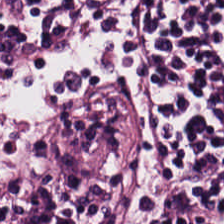This field is lymphoid infiltrate.
